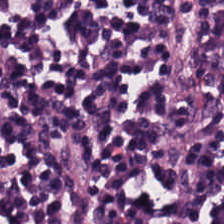0.5 µm/px. Hematoxylin-and-eosin stained section — Tissue = lymphocyte aggregate.
